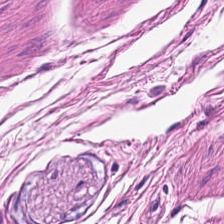Stain: hematoxylin-and-eosin stained section.
Classification: muscularis.
